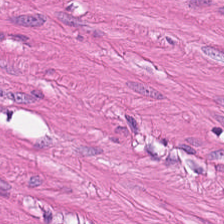H&E stain · WSI patch.
Impression → smooth muscle.
